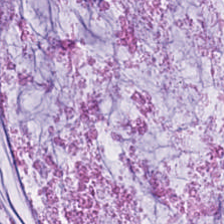Stain: H&E.
Resolution: 20× equivalent magnification.
Predominant tissue: mucin.
